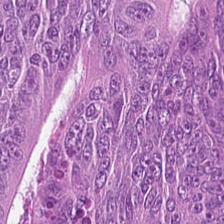H&E — The tissue type is tumor epithelium.
